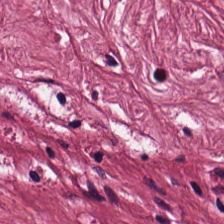H&E · 224×224 pixel tile — Tissue = cancer-associated stroma.
